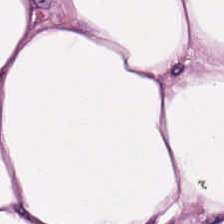H&E. Q: What is shown in this field?
A: The field shows adipocytes.
